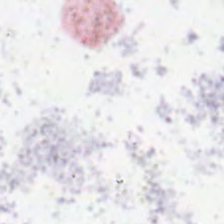Hematoxylin and eosin. Q: What does this patch show?
A: It is empty background.
